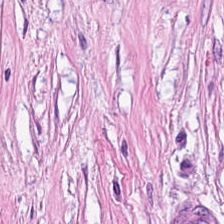The tissue here is cancer-associated stroma.
